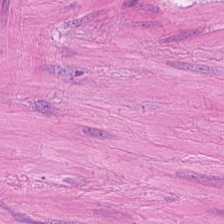H&E stain.
{"tissue_type": "smooth muscle"}
